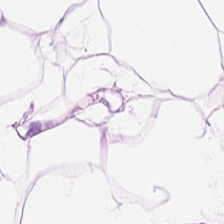H&E-stained tissue section; formalin-fixed paraffin-embedded section. Q: What is shown in this field?
A: This is adipose tissue.
